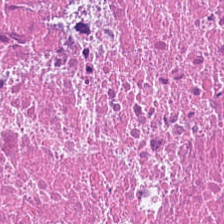H&E-stained tissue section. This patch shows necrotic debris.
